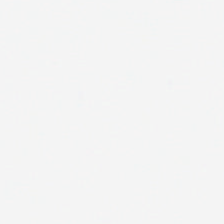Hematoxylin and eosin. Brightfield microscopy. 224×224 pixel tile. Q: Classify this patch.
A: This is background.
